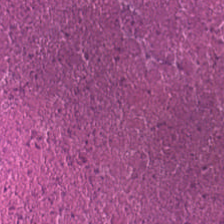224×224 px patch; hematoxylin and eosin.
This patch shows necrotic debris.
